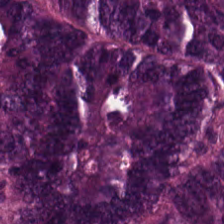H&E-stained tissue section; WSI patch. Showing colorectal adenocarcinoma.
